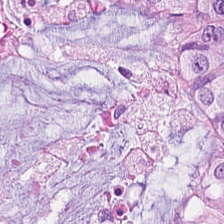H&E stain — Showing colorectal adenocarcinoma epithelium.
